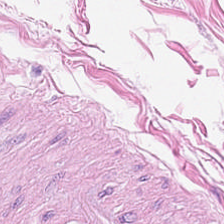Q: Identify the tissue.
A: The field shows adipose.
